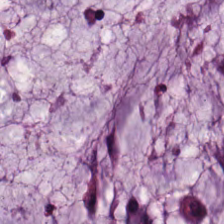H&E-stained tissue section. This patch shows mucin.
